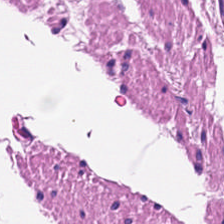Hematoxylin-and-eosin stained section — Q: Classify this patch.
A: This is smooth muscle.
